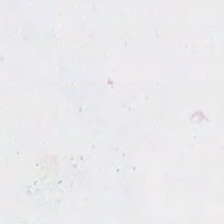Hematoxylin-and-eosin stained section. Empty field — background (no tissue).
